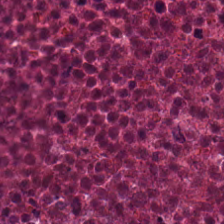Hematoxylin-and-eosin stained section. Histology — necrotic debris.
